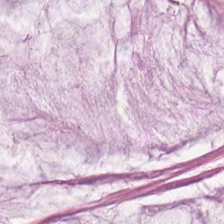224×224 px tile; hematoxylin-and-eosin stained section.
This patch shows mucus.
